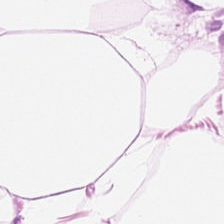Hematoxylin-and-eosin stained section — The tissue here is adipocytes.
